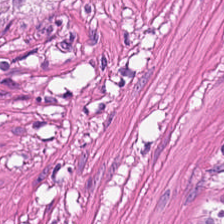H&E stain. This field is smooth-muscle tissue.
